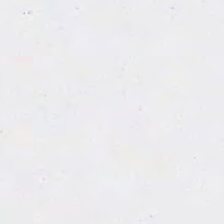H&E stain — Q: What is shown in this field?
A: This is empty background.
